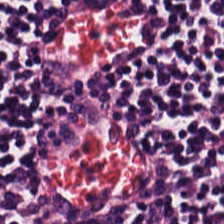Tissue class — lymphocyte aggregate.
